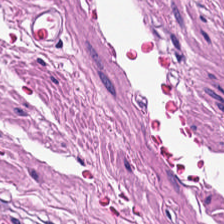Formalin-fixed paraffin-embedded section; hematoxylin-and-eosin stained section; brightfield microscopy — Muscularis.
